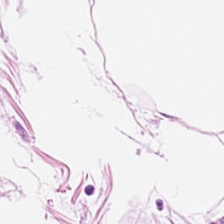20× equivalent magnification. H&E stain.
The tissue is adipose.
